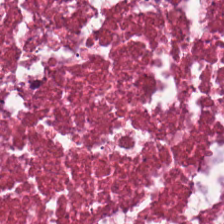Hematoxylin and eosin.
Predominant tissue: cellular debris.
